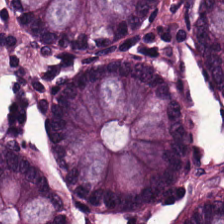H&E stain. The tissue here is normal colon mucosa.
